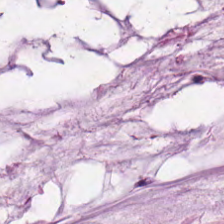H&E stain. Whole-slide-image patch. Q: What tissue type is shown here?
A: The field shows mucus.
